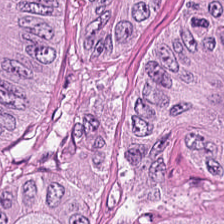FFPE · hematoxylin-and-eosin stained section. Impression — colorectal adenocarcinoma.
